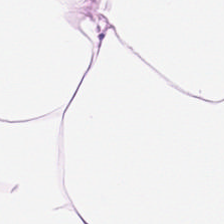20× equivalent magnification; hematoxylin and eosin.
Q: What tissue is shown?
A: The field shows adipocytes.
